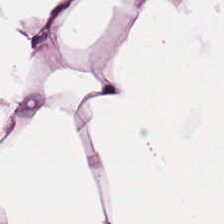Hematoxylin-and-eosin stained section. 224×224 px tile. Classification: adipose tissue.
